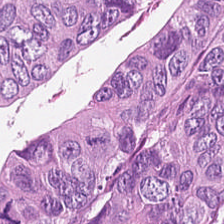Hematoxylin and eosin.
The predominant tissue is adenocarcinoma.
